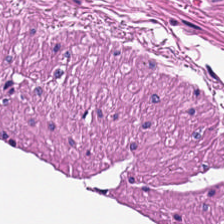Stain: H&E.
Tissue class: smooth muscle.
